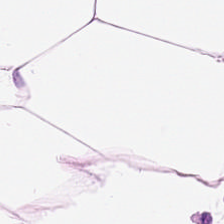Q: What is the predominant tissue type?
A: It is adipose tissue.
